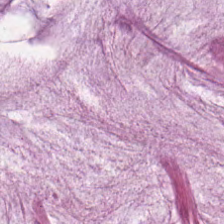H&E. 0.5 µm per pixel — Showing mucin.
